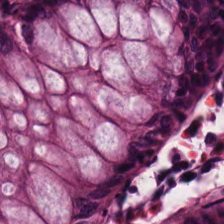Hematoxylin-and-eosin stained section — Impression → non-neoplastic colon mucosa.
